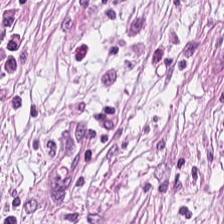224×224 pixel tile. Hematoxylin-and-eosin stained section — This field is desmoplastic stroma.
